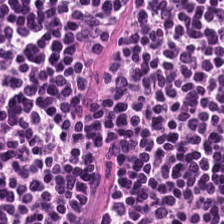H&E-stained tissue section. Predominantly lymphoid infiltrate.
